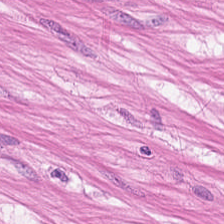Stain: H&E.
Resolution: 0.5 µm/px.
Acquisition: brightfield.
Tissue class: muscularis.
